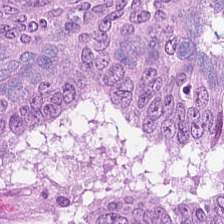224×224 px patch · H&E-stained tissue section.
Classification: tumor epithelium.
